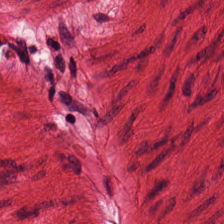Tissue class = muscularis.
